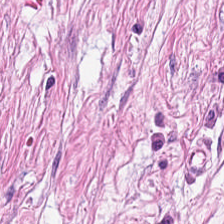The predominant tissue is tumor-associated stroma.
